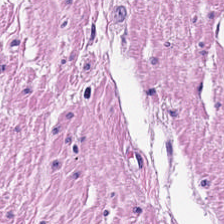Hematoxylin and eosin — Predominantly smooth muscle.
